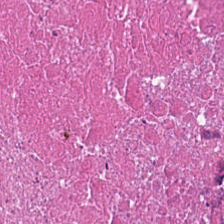H&E · WSI patch.
Tissue — cellular debris.
